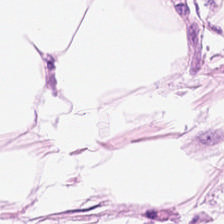H&E-stained section; the field shows fat tissue.
